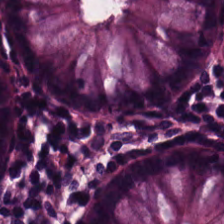Q: Identify the tissue.
A: It is normal colonic mucosa.
